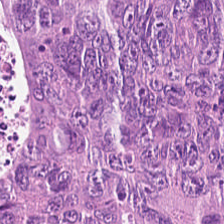{"tissue_type": "adenocarcinoma"}
